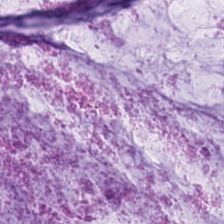Brightfield microscopy · H&E stain · FFPE — Tissue class — mucus.
